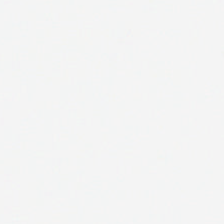0.5 µm/px. H&E-stained tissue section — Histology — no tissue.
